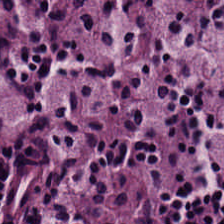Hematoxylin-and-eosin section: lymphocytes.
